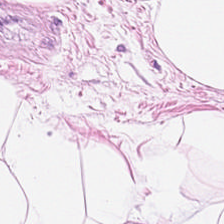224×224 pixel tile; H&E; WSI patch — Tissue type = adipose.
